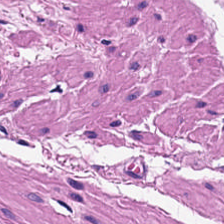224×224 pixel tile · H&E stain. Tissue type: muscularis.
